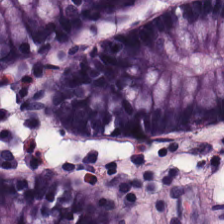H&E stain; 224×224 pixel tile; 20× equivalent magnification. Normal colon mucosa.
